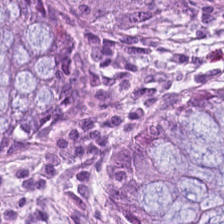H&E stain. Q: Identify the tissue.
A: Normal colon mucosa.
